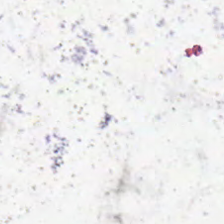H&E stain. No tissue present; background only.
